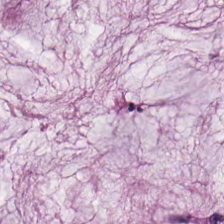The predominant tissue is extracellular mucin.
